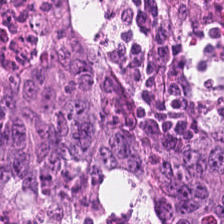Hematoxylin and eosin. Tissue = colorectal adenocarcinoma.
